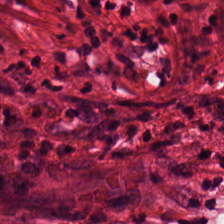The tissue here is tumor-associated stroma.
